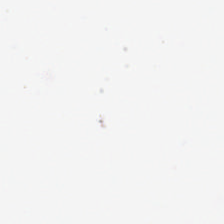Brightfield. H&E stain. This patch shows empty background.
